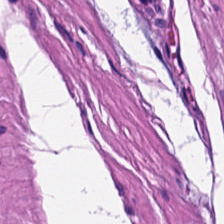Q: What does this patch show?
A: This is muscularis.
